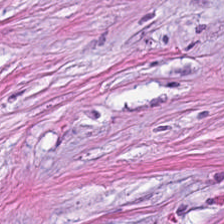WSI patch · H&E. Predominantly cancer-associated stroma.
